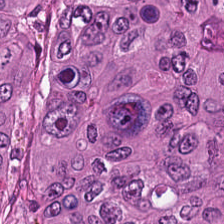H&E stain. Tissue type: colorectal adenocarcinoma epithelium.
